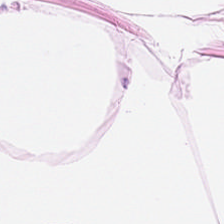224×224 px tile. H&E-stained tissue section — {"tissue_type": "adipose tissue"}
